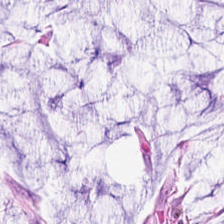Hematoxylin-and-eosin stained section; brightfield microscopy. Q: What is shown in this field?
A: It is mucus.
